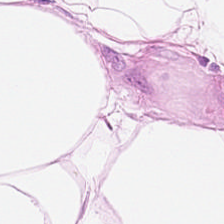Hematoxylin-and-eosin stained section. Histology — fat tissue.
